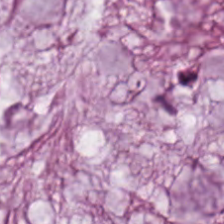20× equivalent magnification; FFPE; H&E stain.
The predominant tissue is extracellular mucin.
